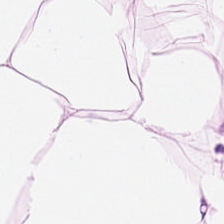H&E stain.
Adipose tissue.
